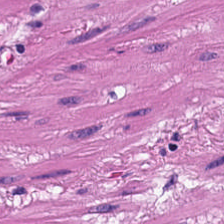H&E stain — Impression → muscularis.
